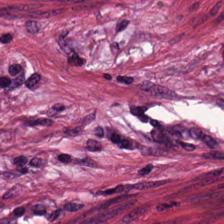H&E — Tissue type — tumor-associated stroma.
